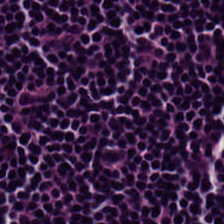H&E stain. Whole-slide-image patch. FFPE. {"tissue_type": "lymphocytes"}
